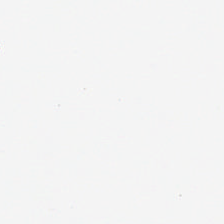H&E stain. Background.
